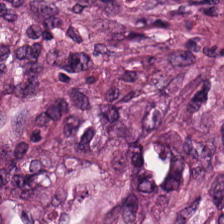Tissue = tumor-associated stroma.
